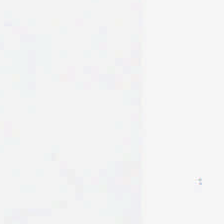Hematoxylin-and-eosin stained section; 224×224 px tile; formalin-fixed paraffin-embedded section.
Q: What is shown here?
A: This is no tissue.
